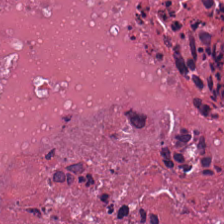H&E.
Tissue type: cellular debris.
